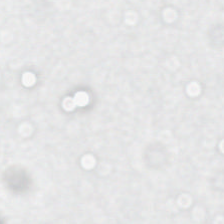Stain: hematoxylin-and-eosin stained section.
Field content: background.
